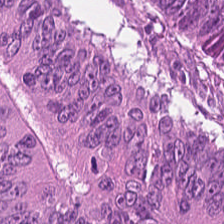Hematoxylin-and-eosin stained section. The predominant tissue is tumor epithelium.
